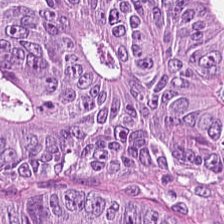H&E-stained tissue section. Tissue: colorectal adenocarcinoma.
